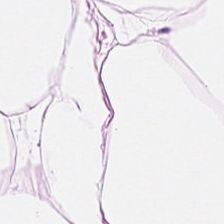H&E stain · 0.5 µm/px — Impression — adipose tissue.
